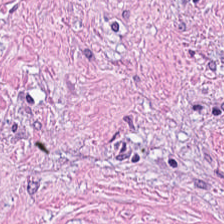H&E-stained tissue section.
The tissue here is cancer-associated stroma.
